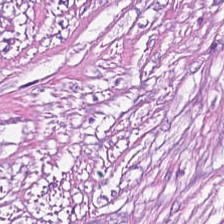Brightfield microscopy; 224×224 pixel tile; H&E-stained tissue section.
Predominantly desmoplastic stroma.
